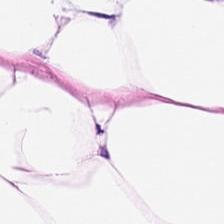H&E stain; FFPE tissue section; brightfield microscopy. Showing fat tissue.
